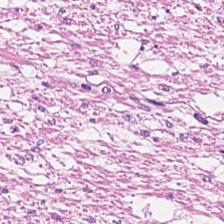Tissue type = smooth-muscle tissue.
